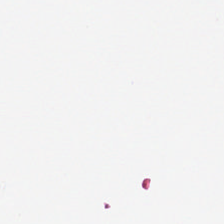Q: Classify this patch.
A: No tissue.
